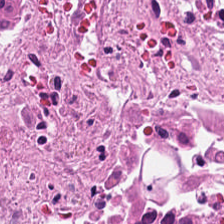Hematoxylin-and-eosin stained section.
This field is cellular debris.
